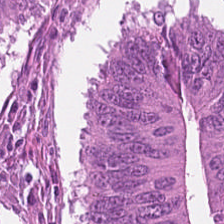H&E-stained tissue section — Q: What is shown here?
A: Adenocarcinoma.
